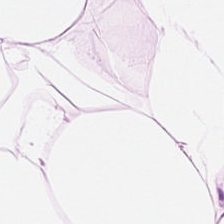H&E stain. FFPE tissue section. The predominant tissue is adipose tissue.
